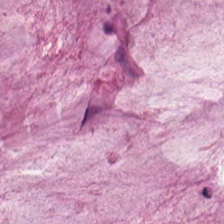Finding — mucin.
